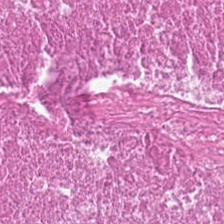This patch shows necrotic debris.
